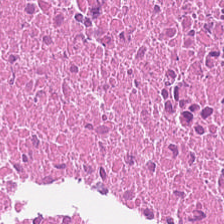H&E stain. This patch shows debris.
